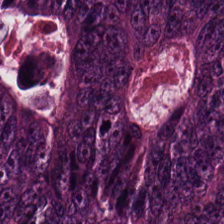Hematoxylin-and-eosin stained section.
Q: What does this patch show?
A: Malignant epithelium.
